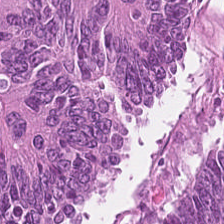FFPE tissue section · hematoxylin and eosin.
{"tissue_type": "adenocarcinoma"}
